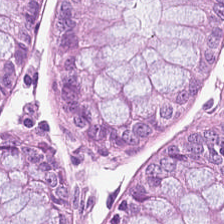Formalin-fixed paraffin-embedded section; 0.5 µm per pixel; H&E. Normal colonic mucosa.
